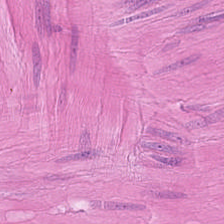H&E — Smooth-muscle tissue.
